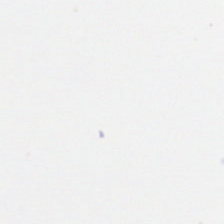H&E stain — Classification = empty background.
